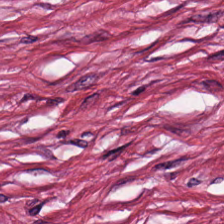H&E-stained tissue section. FFPE. Tissue class: desmoplastic stroma.
